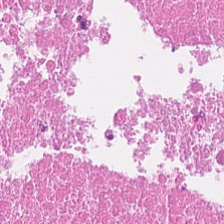Hematoxylin and eosin · 20× equivalent magnification.
Q: What is shown here?
A: The field shows necrotic debris.
